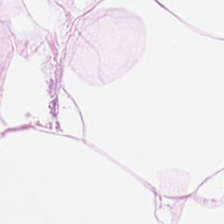H&E stain.
Finding → adipose tissue.
